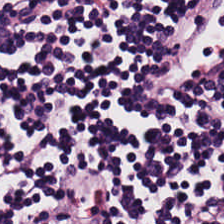Stain: H&E-stained tissue section.
Acquisition: brightfield microscopy.
Resolution: 0.5 µm per pixel.
Predominant tissue: lymphocytes.
